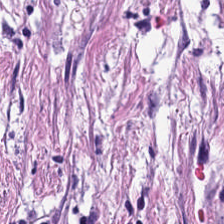Hematoxylin-and-eosin stained section — Finding → cancer-associated stroma.
